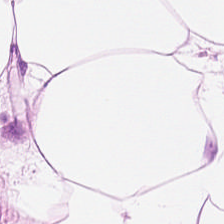224×224 px patch; hematoxylin and eosin; WSI patch — Adipose tissue.
